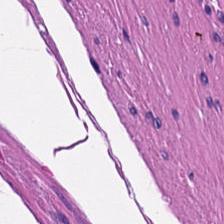H&E stain · brightfield microscopy · 0.5 microns per pixel. {"tissue_type": "smooth muscle"}
